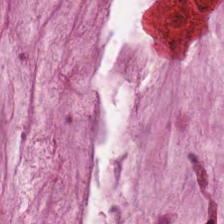Stain: hematoxylin-and-eosin stained section.
Tissue: extracellular mucin.
